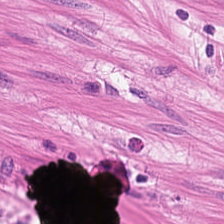Hematoxylin and eosin. Predominant tissue = smooth muscle.
